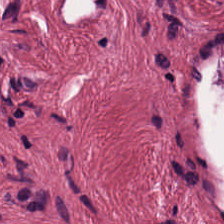Stain: H&E-stained tissue section.
Predominant tissue: tumor-associated stroma.
